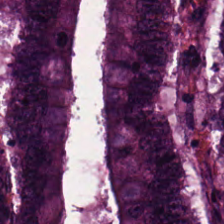H&E-stained tissue section — This field is colorectal adenocarcinoma epithelium.
